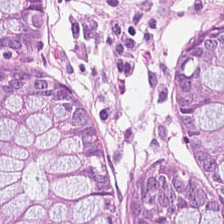Stain: hematoxylin-and-eosin stained section.
Acquisition: brightfield.
Classification: benign colonic mucosa.
